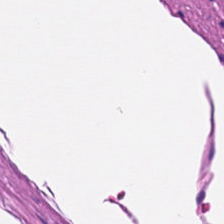Hematoxylin-and-eosin stained section — Muscularis.
